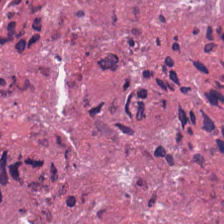H&E-stained tissue section — Predominantly necrotic debris.
